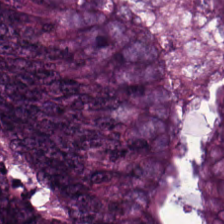H&E stain; 0.5 µm/px. {"tissue_type": "adenocarcinoma"}
